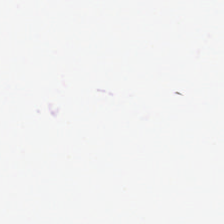Hematoxylin-and-eosin stained section. Formalin-fixed paraffin-embedded section. 224×224 pixel tile.
The content is background (no tissue).
